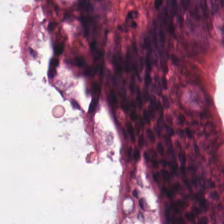Stain: H&E.
Predominant tissue: normal colonic mucosa.
